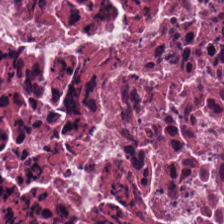The predominant tissue is debris.
